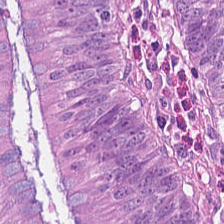H&E. Q: What tissue type is shown here?
A: This is tumor epithelium.
